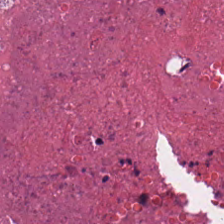H&E; 0.5 µm/px.
The predominant tissue is debris.
